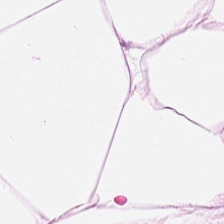Histology — adipocytes.
